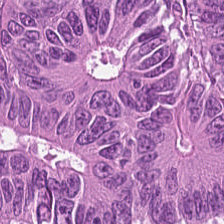Hematoxylin-and-eosin stained section.
Showing adenocarcinoma.
